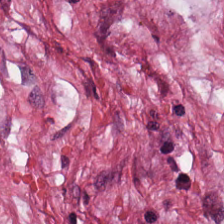H&E stain. Whole-slide-image patch. Q: What tissue is shown?
A: This is tumor stroma.
